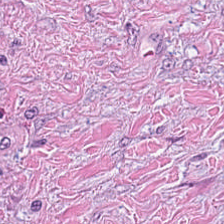Hematoxylin and eosin — Tissue class — desmoplastic stroma.
